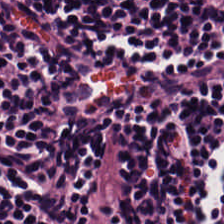Hematoxylin-and-eosin stained section · 224×224 px patch.
The predominant tissue is lymphocytes.
